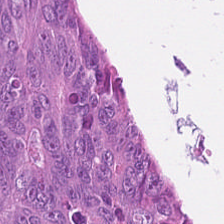H&E stain.
Tissue type = tumor epithelium.
